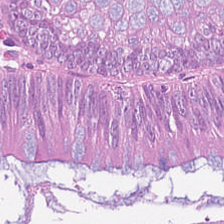Q: What tissue is shown?
A: The field shows malignant epithelium.
